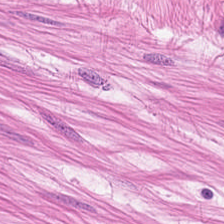Q: What tissue is shown?
A: Smooth muscle.
